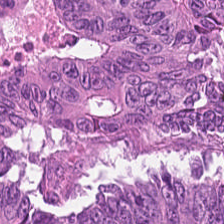H&E-stained tissue section. Predominant tissue = adenocarcinoma.
